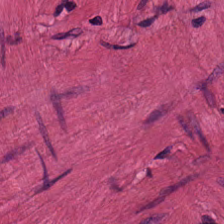H&E-stained tissue section · 0.5 µm per pixel — Predominant tissue = smooth muscle.
